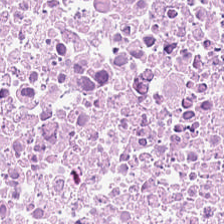Hematoxylin-and-eosin stained section. This field is necrotic debris.
